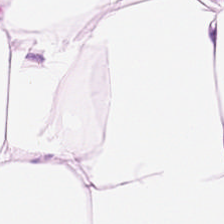Stain: H&E stain.
Acquisition: WSI patch.
Tissue class: adipose.
